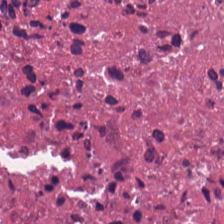Tissue type: cellular debris.
